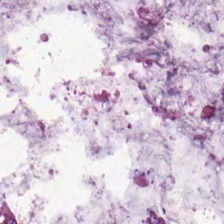Hematoxylin-and-eosin stained section · whole-slide-image patch. The predominant tissue is extracellular mucin.
